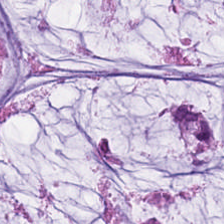The tissue type is mucin.
